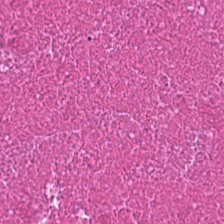224×224 pixel tile; H&E stain; 0.5 µm/px — This field is necrotic debris.
